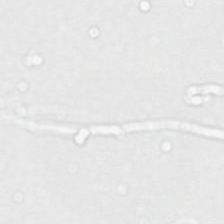Stain: H&E.
Field content: no tissue.
